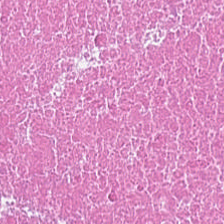Histology → cellular debris.
